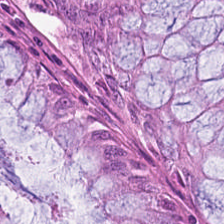Formalin-fixed paraffin-embedded section · hematoxylin-and-eosin stained section · 224×224 px tile.
{"tissue_type": "non-neoplastic colon mucosa"}
